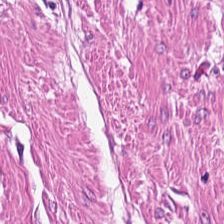Stain: hematoxylin-and-eosin stained section.
Acquisition: brightfield.
Tissue class: muscularis.
